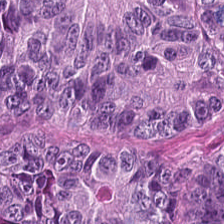H&E stain. Showing colorectal adenocarcinoma epithelium.
